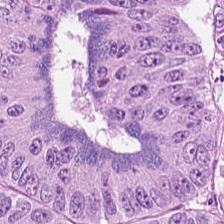Finding → tumor epithelium.
